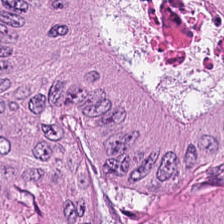H&E · WSI patch — The predominant tissue is tumor epithelium.
